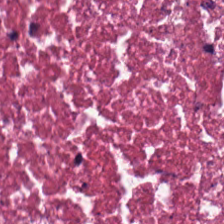0.5 µm per pixel. Hematoxylin and eosin. 224×224 px patch. The tissue is debris.
